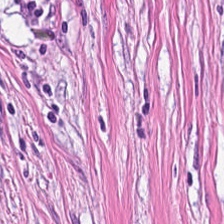FFPE; hematoxylin and eosin. This field is tumor stroma.
